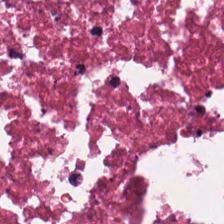Q: Identify the tissue.
A: This is necrotic debris.
